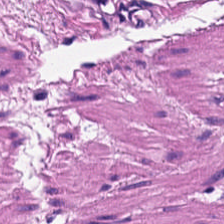H&E-stained tissue section; 224×224 px tile — Impression → smooth muscle.
